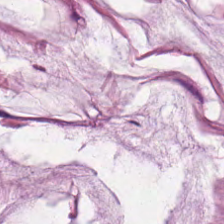Q: What is the predominant tissue type?
A: Mucin.
